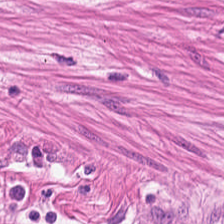Hematoxylin and eosin — Smooth muscle.
